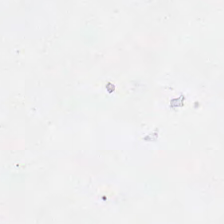H&E — Q: Classify this patch.
A: This is background.
